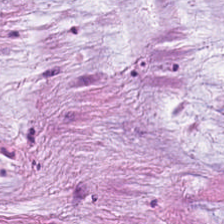Hematoxylin and eosin — Q: What is the predominant tissue type?
A: Extracellular mucin.
